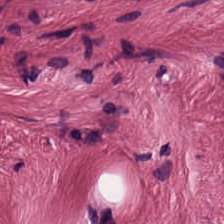Tumor stroma.
